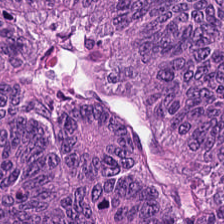Hematoxylin-and-eosin stained section — Q: Classify this patch.
A: Colorectal adenocarcinoma.
